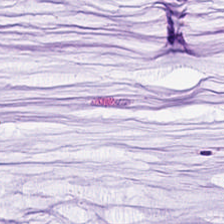H&E-stained section; the field shows mucin.
